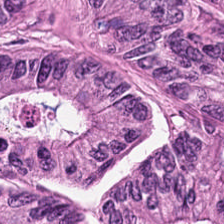20× equivalent magnification. Formalin-fixed paraffin-embedded section. Hematoxylin-and-eosin stained section. {"tissue_type": "adenocarcinoma"}
